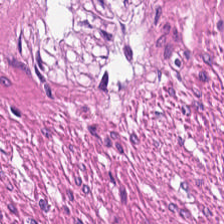H&E — smooth-muscle tissue.
